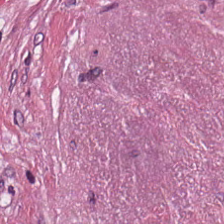H&E-stained tissue section — The predominant tissue is desmoplastic stroma.
